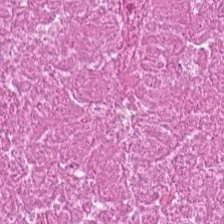H&E stain. Showing cellular debris.
